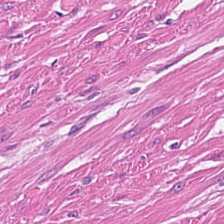{"tissue_type": "muscularis"}
